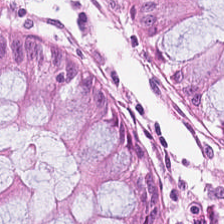Predominant tissue — benign colonic mucosa.
